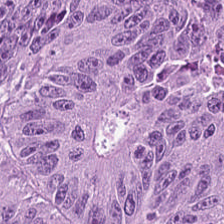H&E-stained tissue section — Q: What is the predominant tissue type?
A: This is tumor epithelium.
